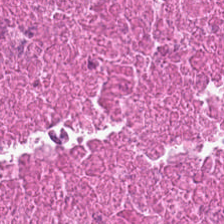Q: Classify this patch.
A: The field shows debris.
